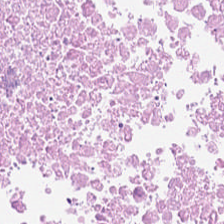Hematoxylin-and-eosin stained section · whole-slide-image patch.
Q: What is shown in this field?
A: Debris.
